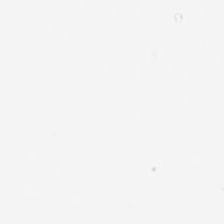Hematoxylin-and-eosin stained section. Content — background.
